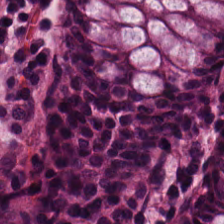Hematoxylin-and-eosin stained section — Histology → normal colon mucosa.
